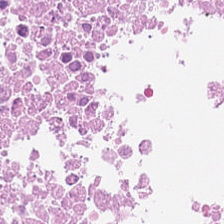224×224 px patch. H&E stain — This patch shows necrotic debris.
